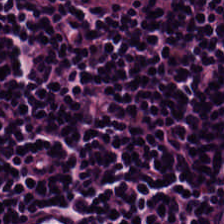H&E-stained tissue section — {"tissue_type": "lymphoid infiltrate"}
